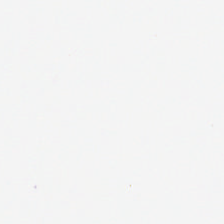Hematoxylin-and-eosin stained section · FFPE — Field content: background (no tissue).
